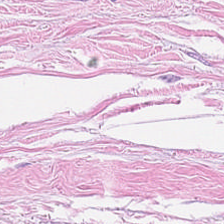Hematoxylin and eosin · FFPE tissue section.
The predominant tissue is desmoplastic stroma.
